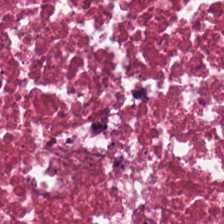H&E stain — This field is necrotic debris.
